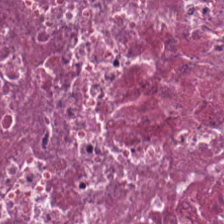H&E-stained tissue section.
Q: What tissue type is shown here?
A: It is cellular debris.
